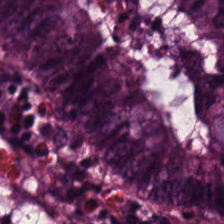Hematoxylin-and-eosin stained section.
Classification — normal colonic mucosa.
